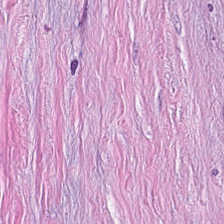H&E-stained tissue section; 0.5 microns per pixel.
This patch shows cancer-associated stroma.
